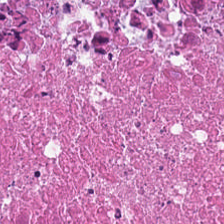H&E — cellular debris.
